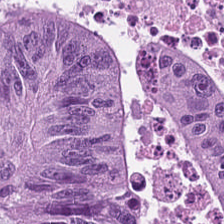Hematoxylin-and-eosin stained section. FFPE — Showing colorectal adenocarcinoma epithelium.
